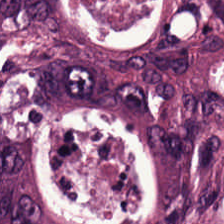Stain: H&E stain.
Tile size: 224×224 pixel tile.
Preparation: FFPE tissue section.
Tissue: colorectal adenocarcinoma.
